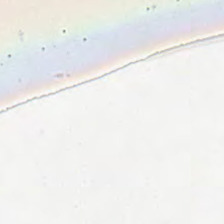224×224 px tile · H&E.
This field is background (no tissue).
